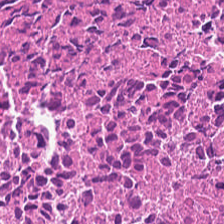H&E; 224×224 px patch — Tissue type = cellular debris.
